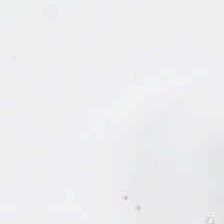Hematoxylin-and-eosin stained section.
Impression — background (no tissue).
